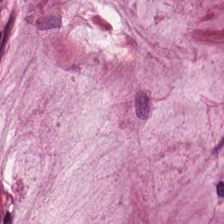H&E-stained tissue section — Q: What is shown in this field?
A: The field shows extracellular mucin.
